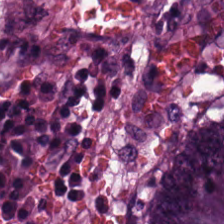Whole-slide-image patch · hematoxylin and eosin. Tissue — adenocarcinoma.
